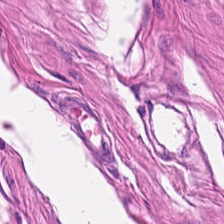Hematoxylin-and-eosin stained section · whole-slide-image patch · FFPE. This patch shows smooth-muscle tissue.
